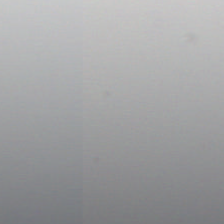224×224 pixel tile · hematoxylin and eosin · brightfield.
Q: What is shown in this field?
A: This is background.
